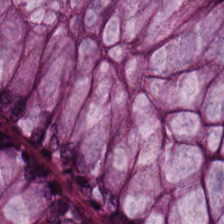Impression → benign colonic mucosa.
